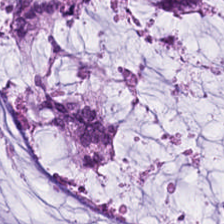H&E stain. 20× equivalent magnification. FFPE.
Tissue: mucus.
